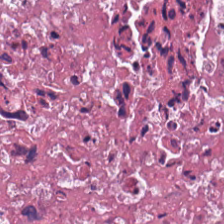Stain: H&E-stained tissue section.
Tissue: cellular debris.
